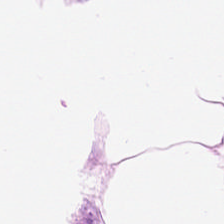H&E-stained tissue section; FFPE. This patch shows fat tissue.
